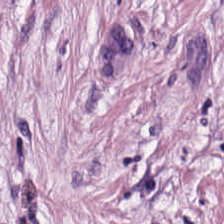H&E stain.
Showing tumor stroma.
